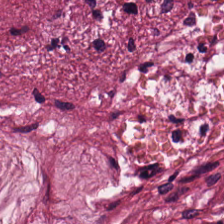20× equivalent magnification · WSI patch · H&E stain.
Impression — desmoplastic stroma.
